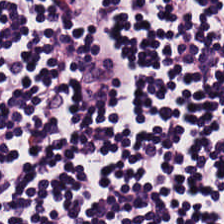224×224 px patch; H&E-stained tissue section.
This field is lymphocytes.
